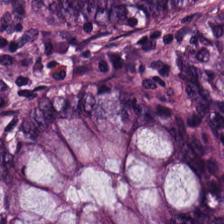Stain: H&E.
Resolution: 0.5 µm per pixel.
Tissue: non-neoplastic colon mucosa.
